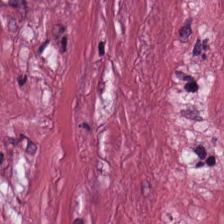Tissue type = desmoplastic stroma.
